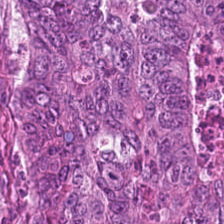H&E; brightfield microscopy — Q: What tissue is shown?
A: The field shows colorectal adenocarcinoma.
